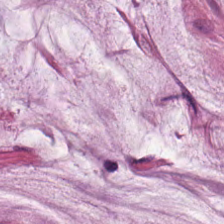H&E. Whole-slide-image patch.
Tissue class: mucin.
